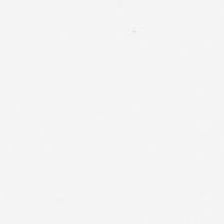Stain: hematoxylin-and-eosin stained section.
Preparation: FFPE.
Acquisition: whole-slide-image patch.
Classification: background (no tissue).
